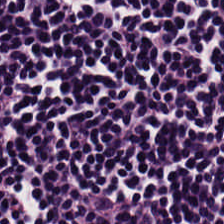H&E. Predominantly lymphocyte aggregate.
